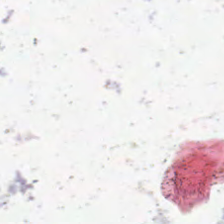Brightfield; H&E. This patch shows background.
